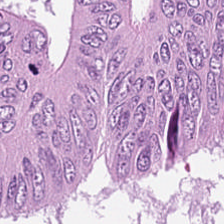224×224 pixel tile. H&E stain. FFPE tissue section — The tissue here is colorectal adenocarcinoma epithelium.
